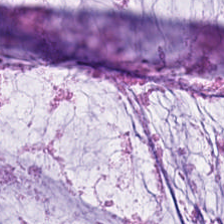0.5 µm per pixel · H&E-stained tissue section — Mucin.
